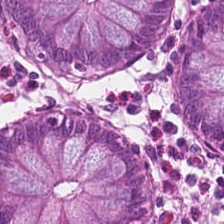H&E · 20× equivalent magnification. Q: What is the predominant tissue type?
A: It is non-neoplastic colon mucosa.
